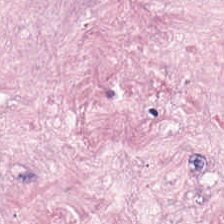H&E — Q: What tissue type is shown here?
A: This is tumor stroma.
